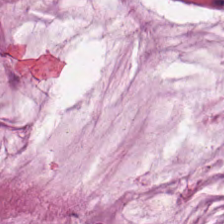224×224 pixel tile; 20× equivalent magnification; hematoxylin-and-eosin stained section — Q: What type of tissue is this?
A: Mucin.
